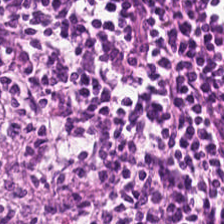FFPE. H&E stain. 0.5 µm per pixel — The predominant tissue is lymphocytes.
